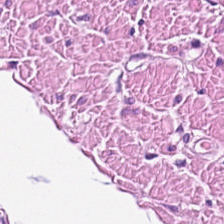Finding → muscularis.
